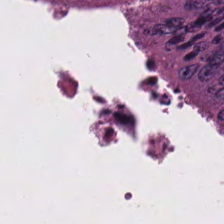FFPE tissue section. Hematoxylin-and-eosin stained section.
Q: What tissue type is shown here?
A: The field shows tumor epithelium.
